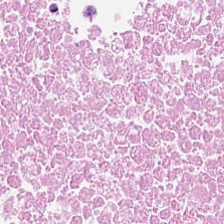H&E.
Q: Identify the tissue.
A: Necrotic debris.
